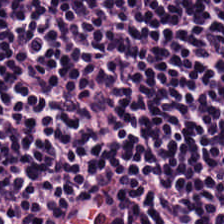Formalin-fixed paraffin-embedded section. Hematoxylin-and-eosin stained section. Lymphocytes.
